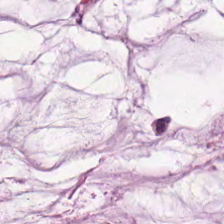H&E stain.
Finding → mucus.
